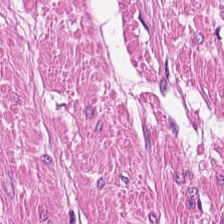H&E; 20× equivalent magnification. The predominant tissue is smooth muscle.
